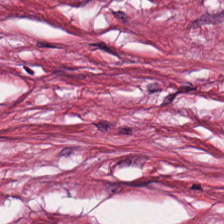Stain: H&E-stained tissue section.
Predominant tissue: tumor stroma.
